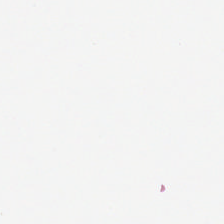Background — no tissue in this field.
